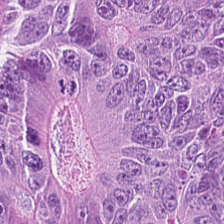Hematoxylin-and-eosin stained section; 224×224 px patch. The predominant tissue is tumor epithelium.
